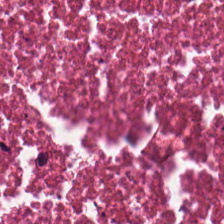H&E.
The classification is necrotic debris.
